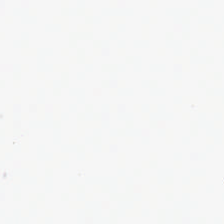Hematoxylin and eosin. Q: What is shown in this field?
A: No tissue.
